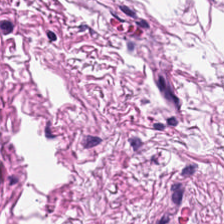224×224 px patch · FFPE tissue section · H&E-stained tissue section — Showing smooth muscle.
